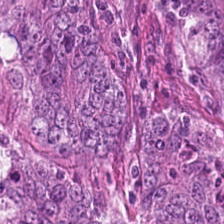H&E stain.
The predominant tissue is colorectal adenocarcinoma.
